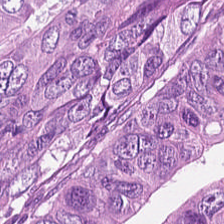The classification is colorectal adenocarcinoma.
